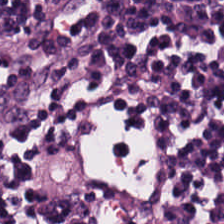Hematoxylin and eosin. Histology → lymphocytes.
